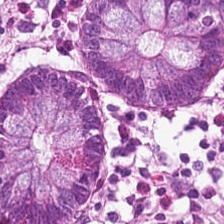20× equivalent magnification; WSI patch; H&E stain.
This patch shows normal colonic mucosa.
